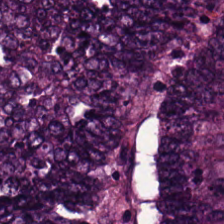H&E stain — Adenocarcinoma.
